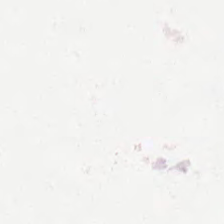H&E-stained tissue section. No tissue present; background only.
